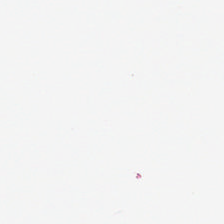No tissue.
